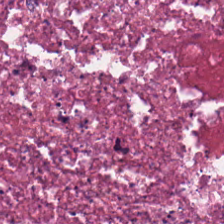H&E; brightfield microscopy.
Q: Classify this patch.
A: Cellular debris.
